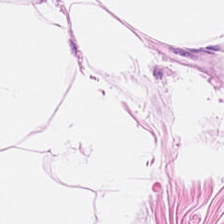Brightfield microscopy; hematoxylin-and-eosin stained section — Finding → adipose.
